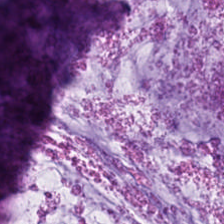H&E-stained tissue section.
The tissue is mucus.
